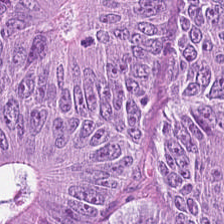H&E-stained tissue section. WSI patch. 224×224 px tile. Showing colorectal adenocarcinoma.
